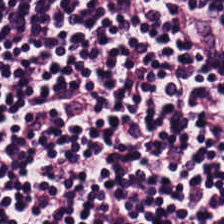Q: What type of tissue is this?
A: The field shows lymphocytes.
